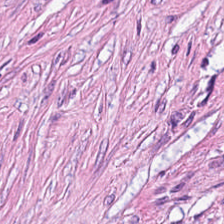Hematoxylin and eosin. Formalin-fixed paraffin-embedded section.
Classification: tumor stroma.
